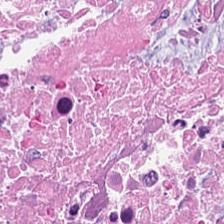Hematoxylin-and-eosin stained section. Q: What is shown in this field?
A: This is necrotic debris.
